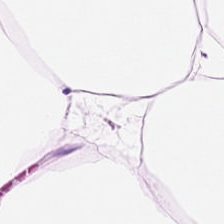Hematoxylin and eosin. Q: What is the predominant tissue type?
A: Adipocytes.
